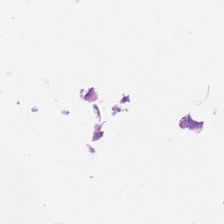224×224 px tile · H&E-stained tissue section — This field is background (no tissue).
